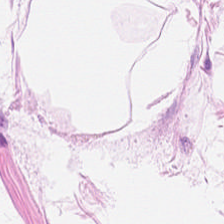Stain: H&E.
Tissue class: adipocytes.
